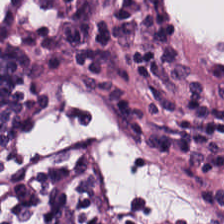Stain: hematoxylin-and-eosin stained section.
Tissue class: lymphocytic infiltrate.
